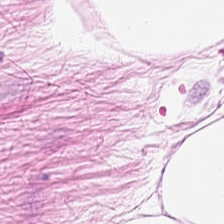Stain: hematoxylin-and-eosin stained section.
Predominant tissue: adipose.
